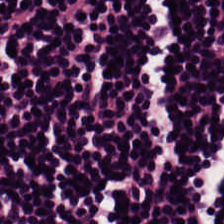H&E. FFPE tissue section. Whole-slide-image patch — Tissue — lymphoid infiltrate.
